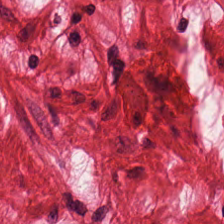The tissue is muscularis.
